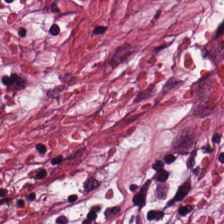H&E. Whole-slide-image patch. Impression — desmoplastic stroma.
